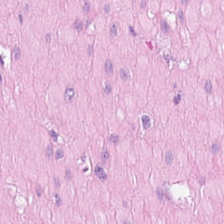Formalin-fixed paraffin-embedded section · hematoxylin and eosin — The tissue here is smooth muscle.
